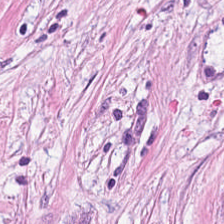Whole-slide-image patch · hematoxylin-and-eosin stained section.
Impression — tumor-associated stroma.
